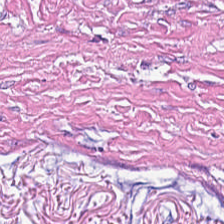0.5 microns per pixel · H&E-stained tissue section — Q: What is the predominant tissue type?
A: The field shows tumor stroma.
